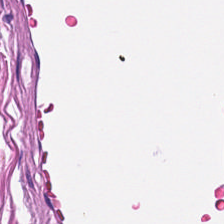FFPE. Brightfield microscopy. H&E. This field is smooth muscle.
